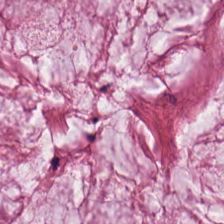Tissue type — extracellular mucin.
